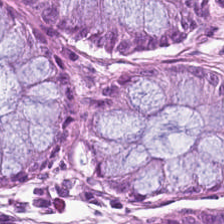Stain: H&E stain.
Predominant tissue: normal colon mucosa.
